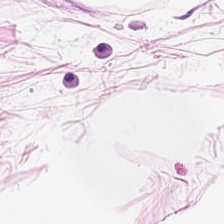H&E · 224×224 pixel tile — Q: What does this patch show?
A: The field shows adipocytes.
